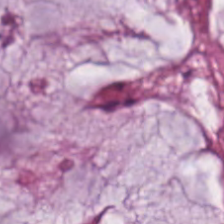FFPE · WSI patch · hematoxylin-and-eosin stained section. Tissue class: mucus.
